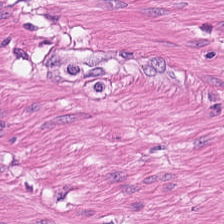Hematoxylin and eosin. FFPE tissue section.
Histology → smooth muscle.
